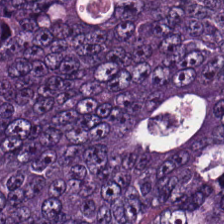Whole-slide-image patch. Hematoxylin and eosin. Formalin-fixed paraffin-embedded section.
The tissue class is colorectal adenocarcinoma.
